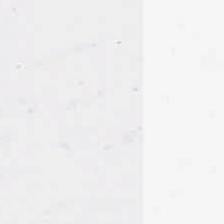H&E — Q: What does this patch show?
A: No tissue.
